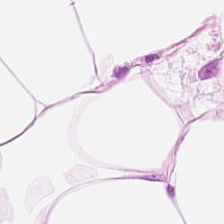Predominantly adipose tissue.
